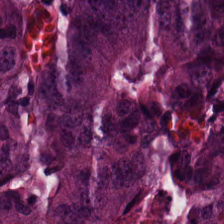FFPE tissue section; 0.5 µm/px; hematoxylin-and-eosin stained section — This field is adenocarcinoma.
